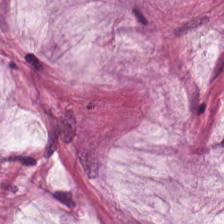H&E-stained section; the field shows extracellular mucin.
